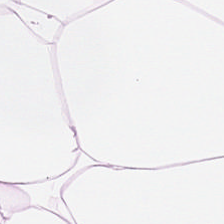Hematoxylin-and-eosin section: adipose tissue.
